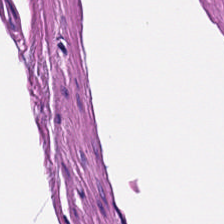H&E stain.
Smooth muscle.
